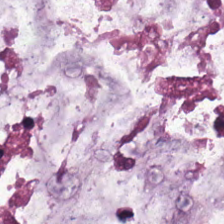The tissue type is extracellular mucin.
